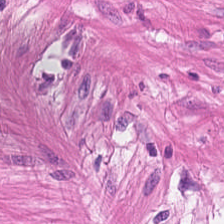0.5 microns per pixel · hematoxylin-and-eosin stained section · WSI patch. Q: What does this patch show?
A: Smooth muscle.
